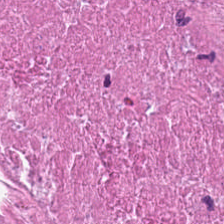Stain: H&E stain.
Classification: debris.
